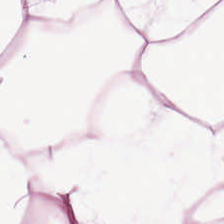Stain: H&E.
Predominant tissue: adipocytes.
